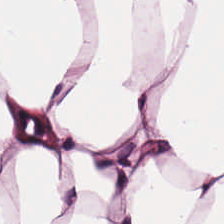H&E-stained tissue section.
Q: What does this patch show?
A: This is adipose tissue.
